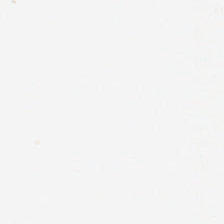The content is background (no tissue).
